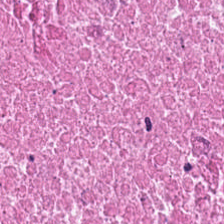Stain: H&E-stained tissue section.
Tissue class: necrotic debris.
